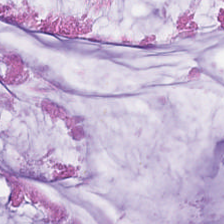Q: What does this patch show?
A: The field shows extracellular mucin.
